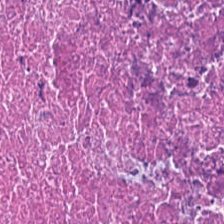H&E-stained tissue section.
Predominantly debris.
